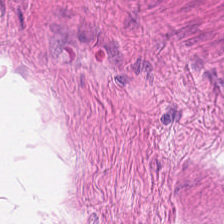Stain: H&E.
Tissue class: muscularis.
